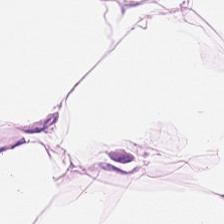H&E.
Impression → adipose tissue.
